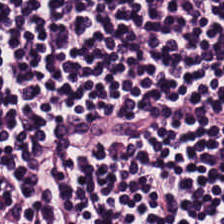Hematoxylin-and-eosin section: lymphocyte aggregate.
